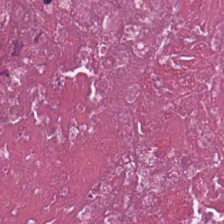Hematoxylin and eosin.
Q: What tissue is shown?
A: The field shows necrotic debris.
